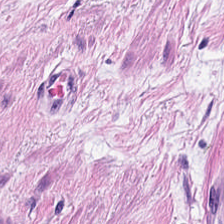Hematoxylin and eosin.
Predominantly smooth muscle.
